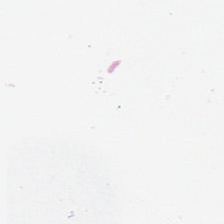H&E.
Field content = background (no tissue).
